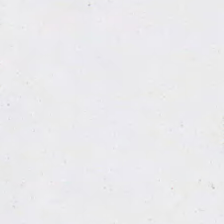Q: Classify this patch.
A: It is background (no tissue).
